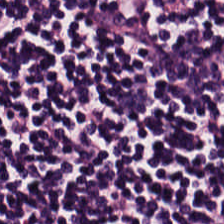H&E stain.
The classification is lymphocytes.
